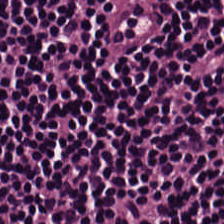H&E.
Predominantly lymphocytic infiltrate.
